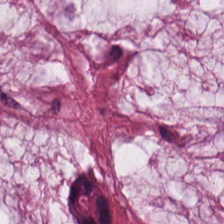Mucin.
